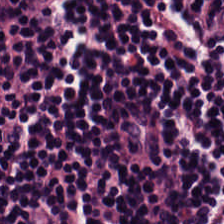Hematoxylin and eosin.
Predominant tissue: lymphocytes.
